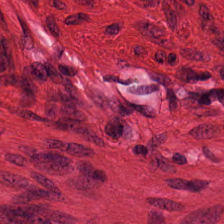20× equivalent magnification. H&E-stained tissue section.
Showing smooth-muscle tissue.
